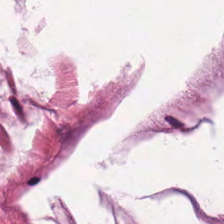224×224 pixel tile; 20× equivalent magnification; H&E stain. This field is mucus.
